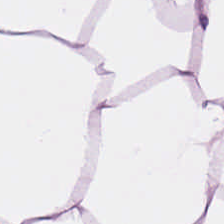Hematoxylin-and-eosin stained section · 0.5 microns per pixel · whole-slide-image patch.
This patch shows fat tissue.
